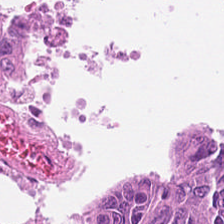This patch shows colorectal adenocarcinoma epithelium.
